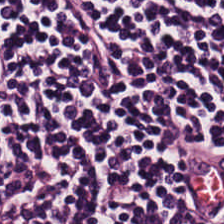0.5 microns per pixel · H&E stain. The predominant tissue is lymphocyte aggregate.
